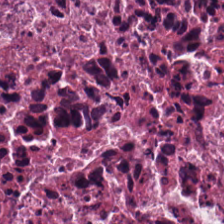Q: What does this patch show?
A: Necrotic debris.
